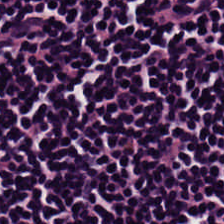Hematoxylin-and-eosin stained section — The predominant tissue is lymphocytic infiltrate.
